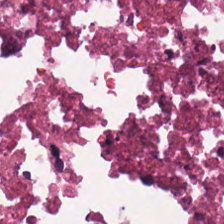H&E stain — Predominantly necrotic debris.
